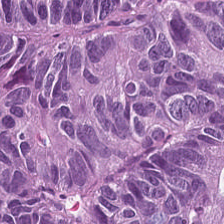The tissue here is malignant epithelium.
